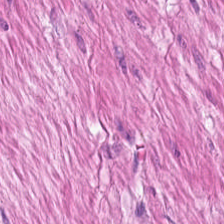Q: What type of tissue is this?
A: The field shows smooth muscle.
